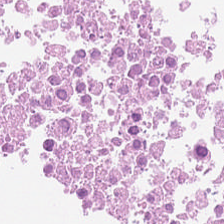FFPE. Hematoxylin-and-eosin stained section.
Q: Classify this patch.
A: The field shows debris.
